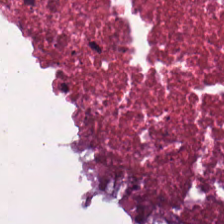Hematoxylin-and-eosin stained section. Predominantly necrotic debris.
